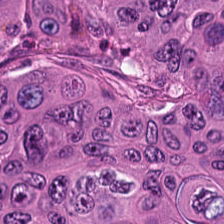Showing colorectal adenocarcinoma.
